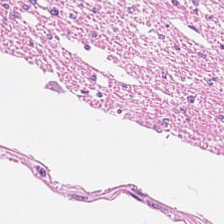Hematoxylin-and-eosin stained section — Predominantly smooth muscle.
